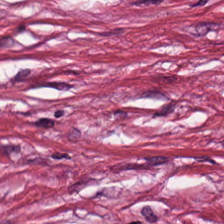Hematoxylin and eosin; FFPE tissue section; 20× equivalent magnification. The predominant tissue is desmoplastic stroma.
